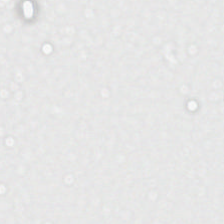Content = empty background.
